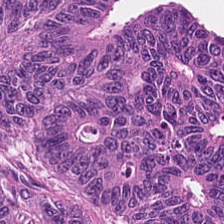H&E-stained tissue section.
Predominantly malignant epithelium.
